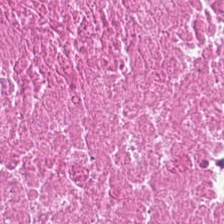Hematoxylin-and-eosin stained section · 0.5 µm per pixel.
Q: What is shown in this field?
A: This is necrotic debris.
